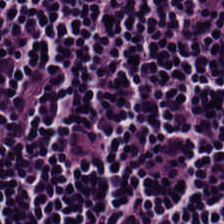Q: What is the predominant tissue type?
A: This is lymphocytic infiltrate.
